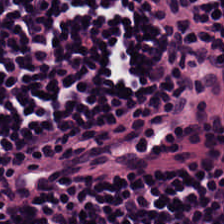Hematoxylin-and-eosin stained section. This field is lymphoid infiltrate.
